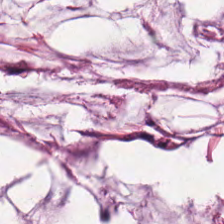Hematoxylin and eosin. This patch shows extracellular mucin.
